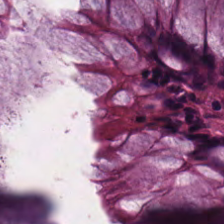H&E stain · 224×224 pixel tile.
Predominantly normal colonic mucosa.
